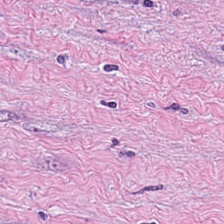FFPE. H&E stain. Brightfield microscopy.
{"tissue_type": "cancer-associated stroma"}
